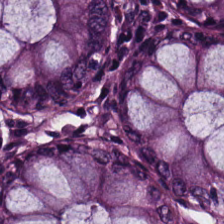H&E stain. {"tissue_type": "normal colonic mucosa"}
